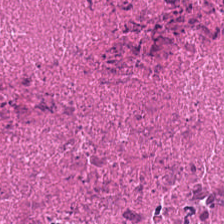H&E; brightfield. The tissue here is necrotic debris.
